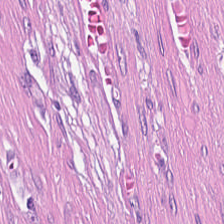H&E stain. The tissue type is tumor stroma.
